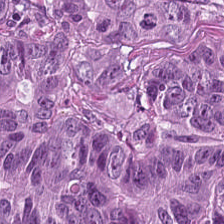H&E stain.
Histology — colorectal adenocarcinoma epithelium.
